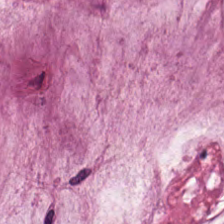WSI patch · hematoxylin-and-eosin stained section.
Mucin.
